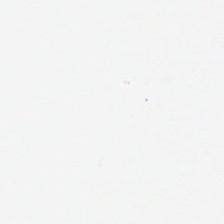Formalin-fixed paraffin-embedded section; brightfield; H&E stain — Classification = no tissue.
